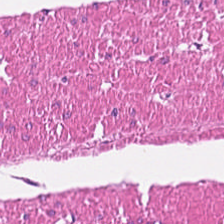Stain: hematoxylin-and-eosin stained section.
Tissue: muscularis.
